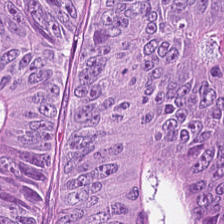Brightfield microscopy · hematoxylin and eosin.
Tissue type = colorectal adenocarcinoma epithelium.
